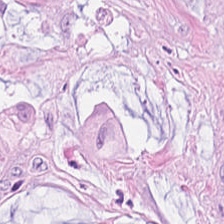H&E stain. The tissue type is tumor epithelium.
